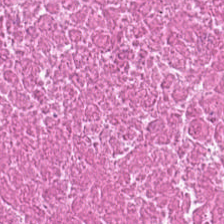Hematoxylin and eosin; whole-slide-image patch. Tissue — cellular debris.
